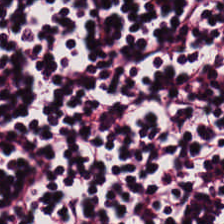Hematoxylin-and-eosin stained section — Finding → lymphocyte aggregate.
